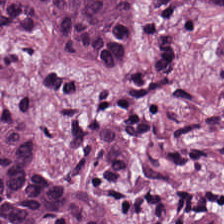Hematoxylin and eosin · 0.5 µm per pixel · formalin-fixed paraffin-embedded section.
Q: What tissue is shown?
A: It is colorectal adenocarcinoma epithelium.
